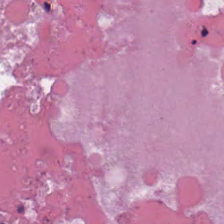The predominant tissue is debris.
